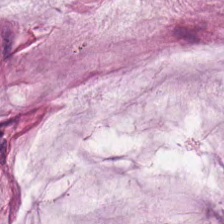Hematoxylin-and-eosin stained section — Q: Classify this patch.
A: It is mucus.
